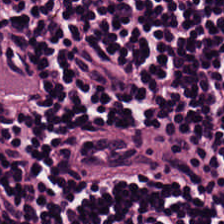0.5 µm/px; H&E. The tissue here is lymphoid infiltrate.
